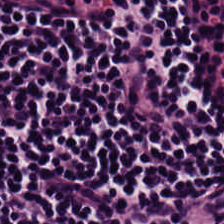WSI patch; H&E; FFPE tissue section. Histology → lymphocyte aggregate.
